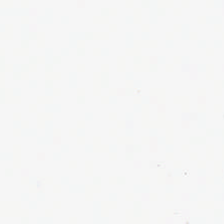FFPE tissue section · hematoxylin-and-eosin stained section.
Q: What is shown here?
A: The field shows background.
